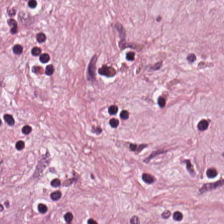Hematoxylin-and-eosin stained section.
Q: What is the predominant tissue type?
A: It is tumor-associated stroma.
